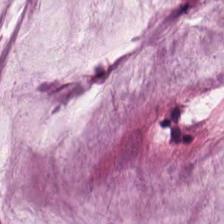224×224 px tile; H&E stain; whole-slide-image patch. Classification — extracellular mucin.
